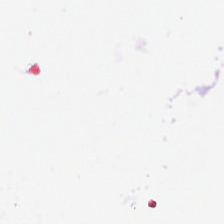H&E · 0.5 µm per pixel — Background (no tissue).
